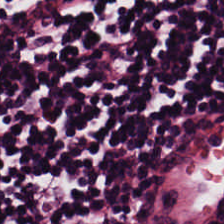Stain: H&E-stained tissue section.
Preparation: FFPE tissue section.
Tile size: 224×224 pixel tile.
Predominant tissue: lymphoid infiltrate.
